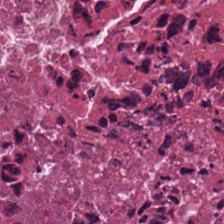Stain: H&E.
Tile size: 224×224 pixel tile.
Tissue: cellular debris.
